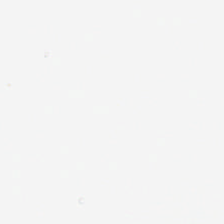Hematoxylin-and-eosin stained section · formalin-fixed paraffin-embedded section · 20× equivalent magnification. Q: What is shown here?
A: No tissue.
